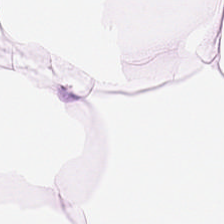Tissue type — fat tissue.
